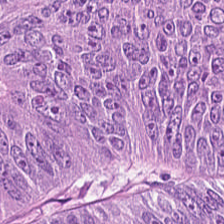Stain: hematoxylin and eosin.
Tissue type: colorectal adenocarcinoma.
